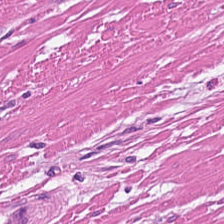Hematoxylin-and-eosin section: smooth muscle.
